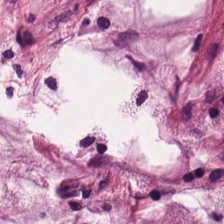Stain: hematoxylin-and-eosin stained section.
Tissue type: mucin.
